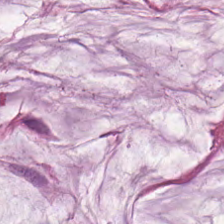Stain: H&E-stained tissue section.
Classification: extracellular mucin.
